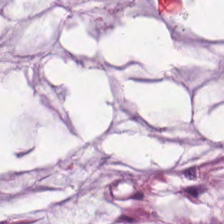H&E. Brightfield — Finding — mucin.
